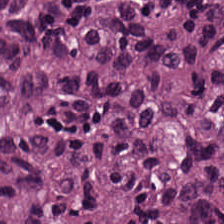The tissue class is adenocarcinoma.
